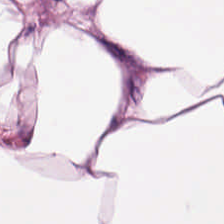Q: What type of tissue is this?
A: Fat tissue.
